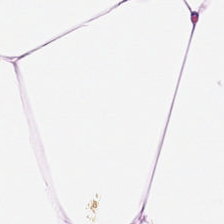Hematoxylin-and-eosin stained section. Adipose tissue.
